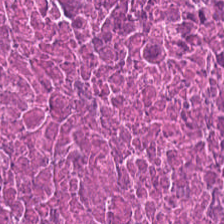Finding — debris.
